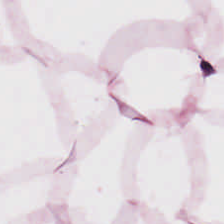H&E-stained tissue section · FFPE.
The tissue type is adipocytes.
